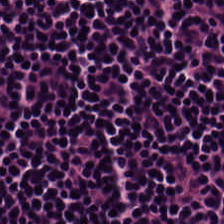Hematoxylin-and-eosin stained section.
The predominant tissue is lymphocytic infiltrate.
